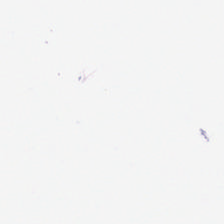Hematoxylin-and-eosin stained section. Field content = empty background.
